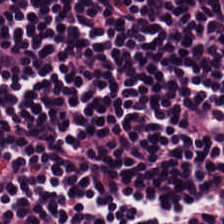Stain: hematoxylin and eosin.
Tile size: 224×224 px patch.
Tissue type: lymphoid infiltrate.
